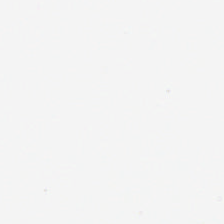H&E stain — Empty field — background.
